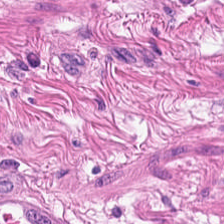H&E-stained tissue section — This field is muscularis.
